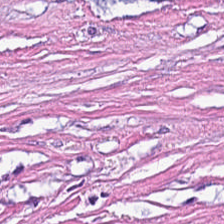H&E — The tissue here is desmoplastic stroma.
